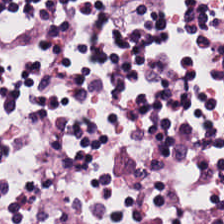Hematoxylin-and-eosin stained section. The tissue here is lymphocytic infiltrate.
